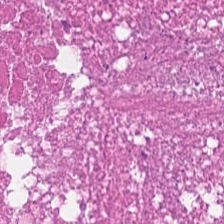H&E-stained tissue section. Brightfield. Tissue class = cellular debris.
